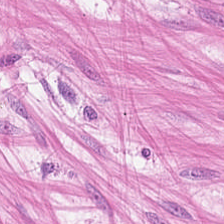H&E.
Predominant tissue = smooth muscle.
